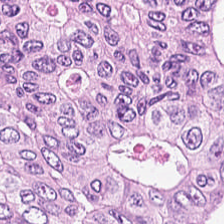H&E. Tumor epithelium.
